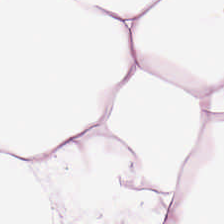H&E.
Histology — adipose.
